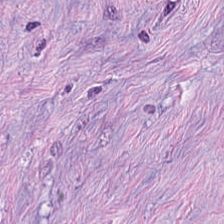Hematoxylin and eosin — Cancer-associated stroma.
